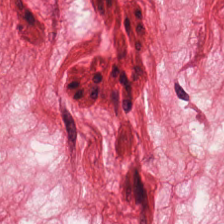20× equivalent magnification · hematoxylin and eosin. The predominant tissue is smooth muscle.
